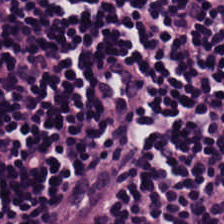Brightfield · 224×224 px tile · H&E-stained tissue section.
This field is lymphoid infiltrate.
